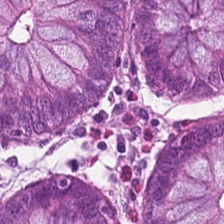Stain: hematoxylin-and-eosin stained section.
Tissue type: normal colon mucosa.
